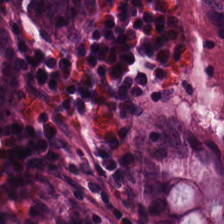Stain: hematoxylin-and-eosin stained section.
Tissue: benign colonic mucosa.
